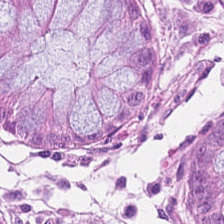Stain: H&E stain.
Tile size: 224×224 px tile.
Resolution: 20× equivalent magnification.
Tissue: normal colonic mucosa.
